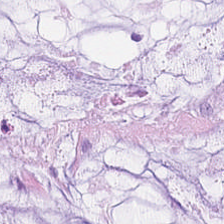H&E — Mucin.
